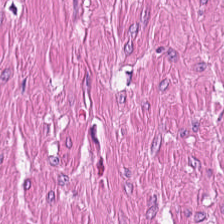Formalin-fixed paraffin-embedded section · H&E — This field is smooth-muscle tissue.
